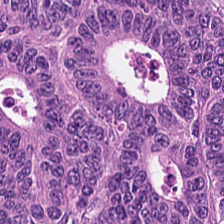H&E stain. The predominant tissue is adenocarcinoma.
